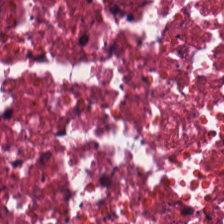FFPE tissue section. Hematoxylin-and-eosin stained section — Q: Classify this patch.
A: Cellular debris.
